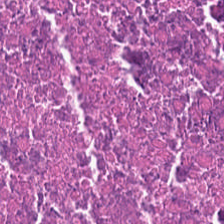H&E stain. 0.5 microns per pixel. 224×224 pixel tile — This field is cellular debris.
